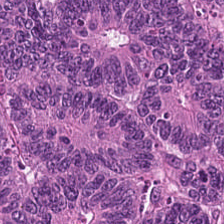Hematoxylin-and-eosin section: adenocarcinoma.
